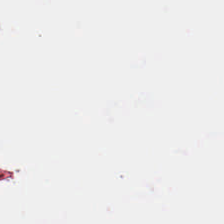Stain: H&E.
Content: background (no tissue).
